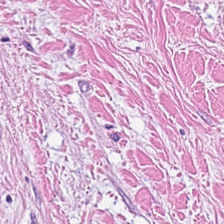Brightfield. 0.5 microns per pixel. Hematoxylin-and-eosin stained section.
This field is cancer-associated stroma.
